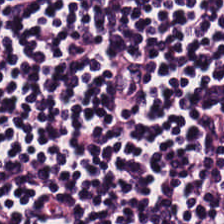Stain: hematoxylin and eosin.
Acquisition: whole-slide-image patch.
Predominant tissue: lymphocyte aggregate.
